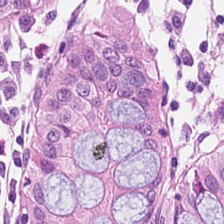Q: What tissue is shown?
A: Normal colon mucosa.
